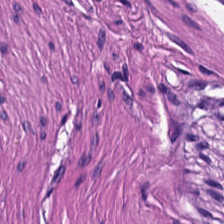Hematoxylin-and-eosin stained section.
Histology — smooth-muscle tissue.
